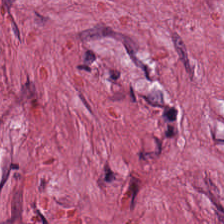H&E stain — Tissue class: cancer-associated stroma.
